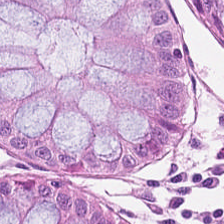H&E-stained tissue section. This field is normal colonic mucosa.
